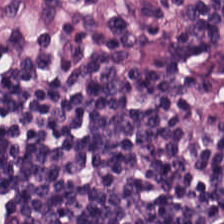H&E-stained tissue section. {"tissue_type": "lymphoid infiltrate"}
